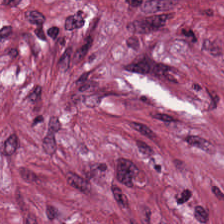Hematoxylin and eosin.
Classification — cancer-associated stroma.
